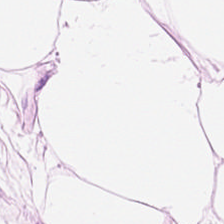Hematoxylin and eosin — The tissue is adipose tissue.
